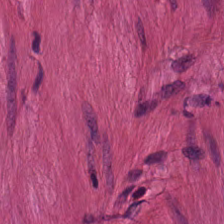Stain: hematoxylin-and-eosin stained section.
Resolution: 0.5 µm per pixel.
Tissue class: muscularis.
